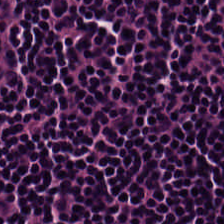Hematoxylin and eosin — Tissue — lymphocytic infiltrate.
